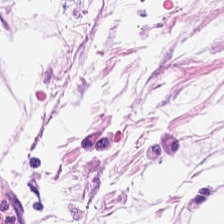0.5 microns per pixel; formalin-fixed paraffin-embedded section; H&E. Predominantly adipose tissue.
